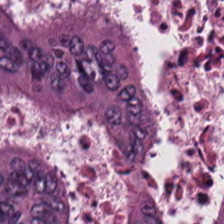The tissue here is malignant epithelium.
